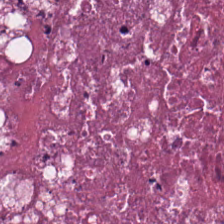H&E stain · FFPE · whole-slide-image patch.
The tissue here is necrotic debris.
